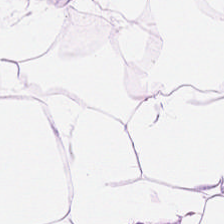Classification — fat tissue.
